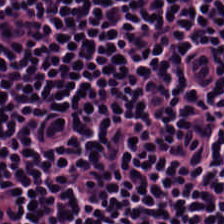Q: What is shown here?
A: Lymphocyte aggregate.
